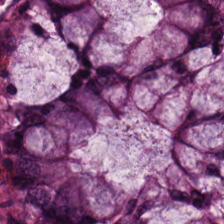224×224 px patch · hematoxylin-and-eosin stained section · brightfield microscopy — Normal colonic mucosa.
